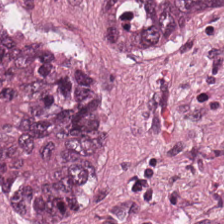Hematoxylin-and-eosin stained section — This patch shows adenocarcinoma.
